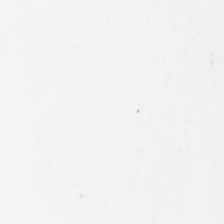H&E-stained tissue section; brightfield.
Histology → empty background.
